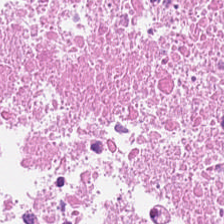{"tissue_type": "debris"}
